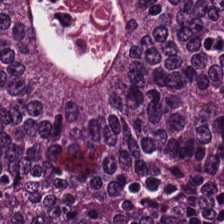H&E. Showing colorectal adenocarcinoma.
